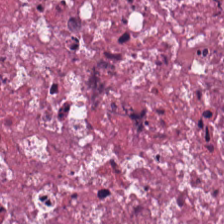20× equivalent magnification · H&E-stained tissue section. Predominantly debris.
